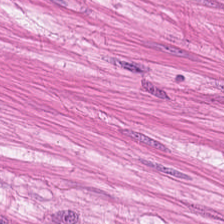Stain: H&E.
Preparation: formalin-fixed paraffin-embedded section.
Acquisition: whole-slide-image patch.
Classification: muscularis.
